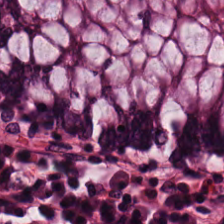H&E — Showing benign colonic mucosa.
